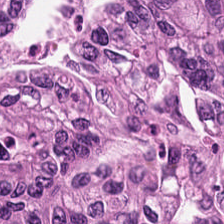H&E. Q: What type of tissue is this?
A: This is adenocarcinoma.
